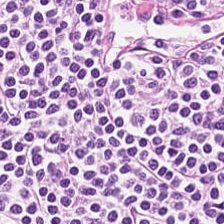Stain: H&E.
Tile size: 224×224 pixel tile.
Tissue class: lymphoid infiltrate.
